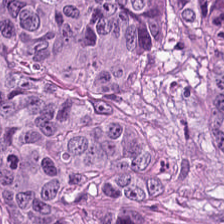224×224 pixel tile · H&E-stained tissue section — The predominant tissue is colorectal adenocarcinoma.
